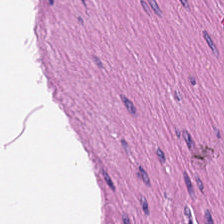Showing smooth-muscle tissue.
